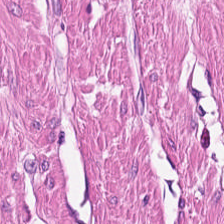Hematoxylin and eosin · 20× equivalent magnification. Q: What tissue is shown?
A: The field shows muscularis.
